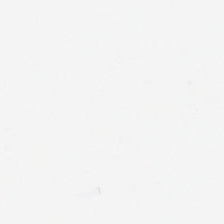H&E.
Q: What is shown here?
A: It is empty background.
